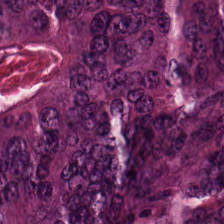H&E-stained tissue section — Adenocarcinoma.
